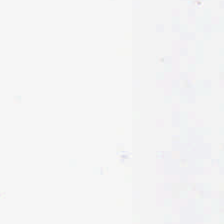H&E stain.
Empty field — background (no tissue).
